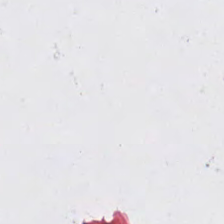Histology — no tissue.
